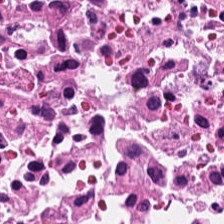H&E-stained tissue section.
Impression — necrotic debris.
